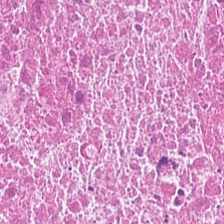Hematoxylin-and-eosin section: cellular debris.
